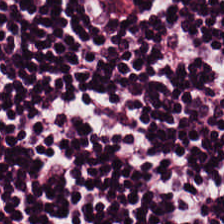Hematoxylin and eosin · FFPE — Lymphocyte aggregate.
